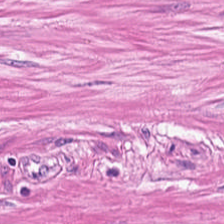Stain: hematoxylin and eosin.
Resolution: 0.5 microns per pixel.
Tissue class: smooth-muscle tissue.
